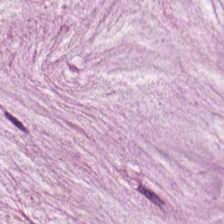Hematoxylin-and-eosin stained section. The predominant tissue is extracellular mucin.
